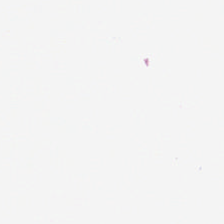H&E. Q: What is shown in this field?
A: Background (no tissue).
